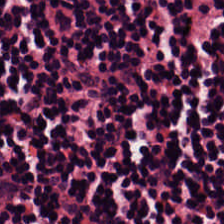The tissue class is lymphoid infiltrate.
